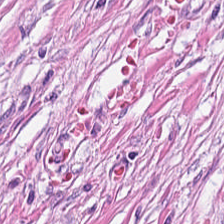H&E — This field is desmoplastic stroma.
